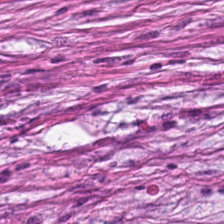H&E-stained tissue section · FFPE — The tissue here is cancer-associated stroma.
